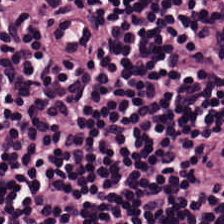H&E — lymphocytes.
